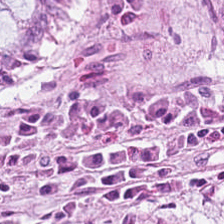H&E · FFPE · 0.5 microns per pixel.
Q: What type of tissue is this?
A: Non-neoplastic colon mucosa.
